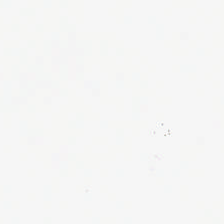Field content: background.
